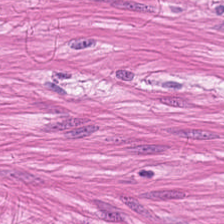Hematoxylin and eosin. Smooth-muscle tissue.
